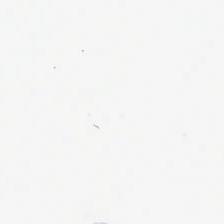H&E.
Field content = no tissue.
